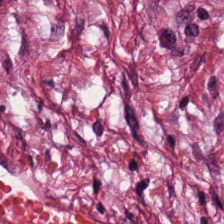Predominantly tumor stroma.
